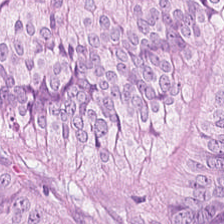Hematoxylin-and-eosin stained section.
Showing malignant epithelium.
